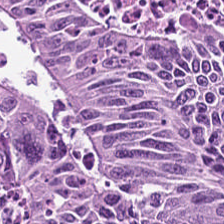Formalin-fixed paraffin-embedded section. H&E — The tissue type is colorectal adenocarcinoma.
